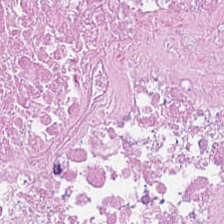H&E stain; 224×224 px tile — This patch shows debris.
